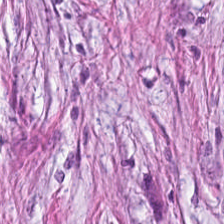Stain: hematoxylin-and-eosin stained section.
Tissue class: desmoplastic stroma.
